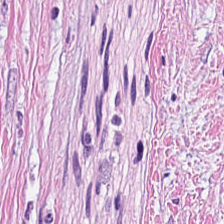FFPE tissue section; 0.5 µm/px; H&E-stained tissue section — Q: What type of tissue is this?
A: The field shows cancer-associated stroma.
